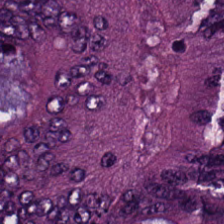Formalin-fixed paraffin-embedded section. Hematoxylin-and-eosin stained section. Whole-slide-image patch. Colorectal adenocarcinoma epithelium.
